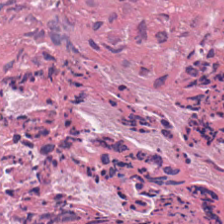Formalin-fixed paraffin-embedded section. 224×224 pixel tile. Hematoxylin and eosin.
This patch shows cellular debris.
